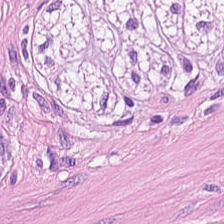Q: What is the predominant tissue type?
A: The field shows muscularis.
